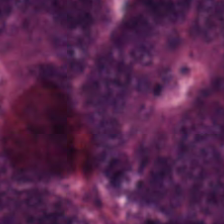Q: What is the predominant tissue type?
A: The field shows adenocarcinoma.
